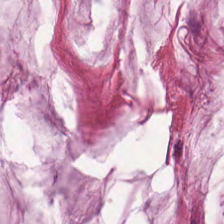Stain: H&E-stained tissue section.
Tile size: 224×224 pixel tile.
Tissue type: extracellular mucin.
